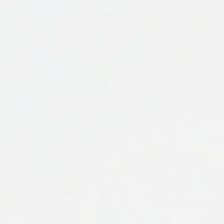Content — background (no tissue).
